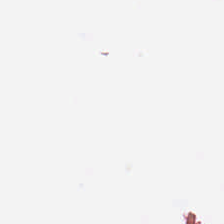H&E. No tissue present; background only.
